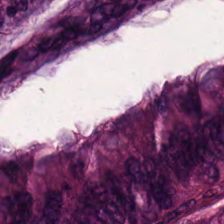Stain: H&E-stained tissue section.
Tile size: 224×224 pixel tile.
Preparation: FFPE.
Predominant tissue: colorectal adenocarcinoma epithelium.
